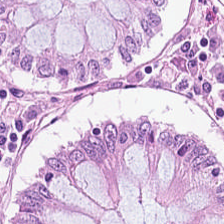H&E stain. Showing normal colonic mucosa.
